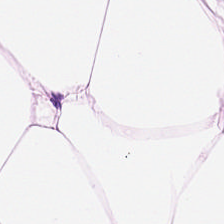Stain: H&E.
Tissue class: adipocytes.
